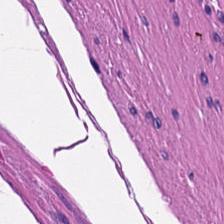H&E — The predominant tissue is smooth-muscle tissue.
